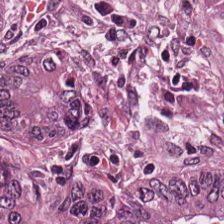Q: What type of tissue is this?
A: This is malignant epithelium.
